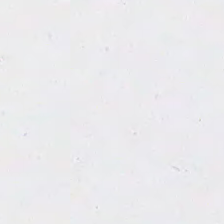Classification — no tissue.
